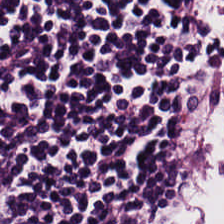Stain: H&E stain.
Acquisition: WSI patch.
Tile size: 224×224 pixel tile.
Classification: lymphocyte aggregate.
